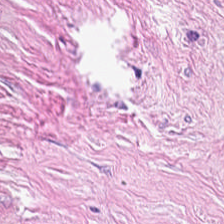H&E-stained tissue section — This patch shows cancer-associated stroma.
